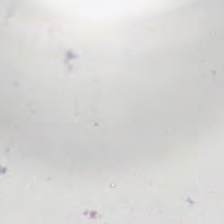Stain: H&E-stained tissue section.
Field content: no tissue.
